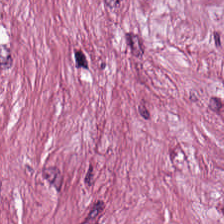H&E.
Q: What tissue is shown?
A: Tumor-associated stroma.
